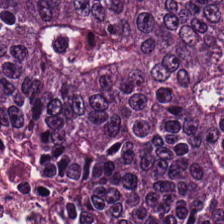H&E-stained tissue section. Predominant tissue: colorectal adenocarcinoma epithelium.
